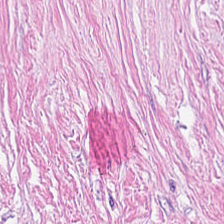H&E stain · 224×224 px tile — The predominant tissue is desmoplastic stroma.
